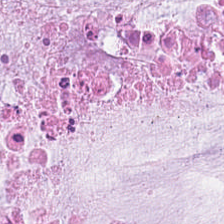Histology → mucus.
